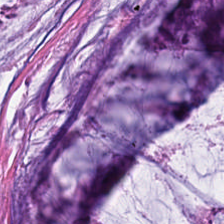H&E stain. Predominant tissue — mucus.
